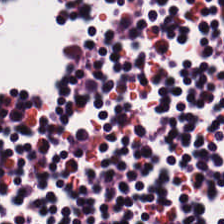Tissue type: lymphocytes.
